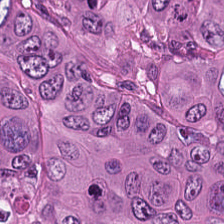Predominant tissue = colorectal adenocarcinoma.
